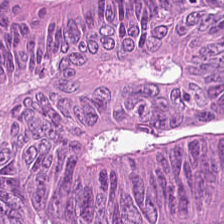224×224 pixel tile · H&E stain — The predominant tissue is adenocarcinoma.
